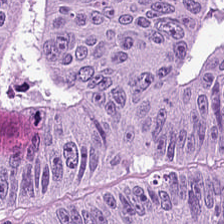Q: What is the predominant tissue type?
A: The field shows colorectal adenocarcinoma epithelium.
